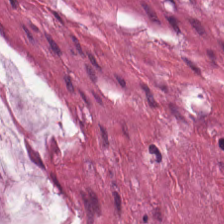H&E. Q: Identify the tissue.
A: It is mucin.
